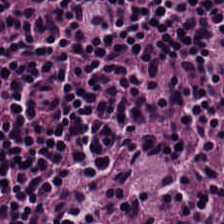FFPE tissue section · 224×224 px patch · H&E stain.
Predominantly lymphocytic infiltrate.
